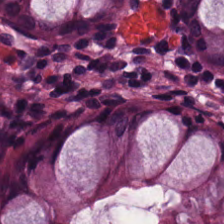0.5 µm per pixel · hematoxylin-and-eosin stained section · 224×224 px patch. Q: What does this patch show?
A: It is normal colonic mucosa.
